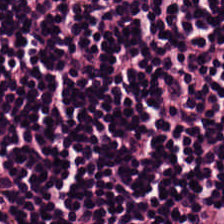Histology — lymphoid infiltrate.
